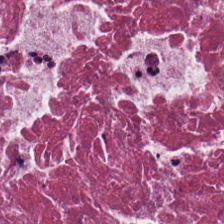Formalin-fixed paraffin-embedded section. Hematoxylin and eosin — Histology → debris.
